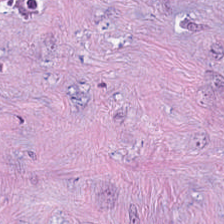H&E-stained tissue section showing tumor-associated stroma.
